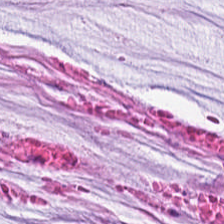H&E stain — Tissue type = extracellular mucin.
